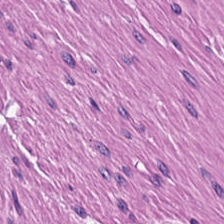Hematoxylin-and-eosin section: smooth-muscle tissue.
